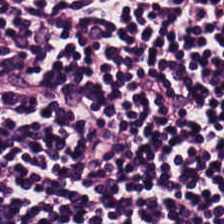H&E · whole-slide-image patch.
The tissue here is lymphocytes.
